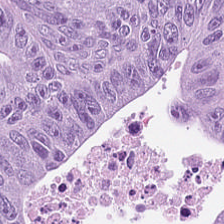Q: What is shown in this field?
A: The field shows malignant epithelium.
